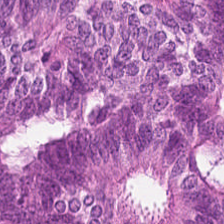224×224 px patch. H&E-stained tissue section — Tissue: colorectal adenocarcinoma epithelium.
